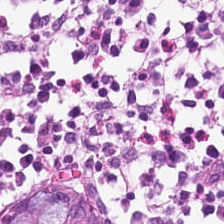Hematoxylin-and-eosin stained section.
{"tissue_type": "normal colon mucosa"}
